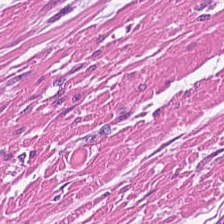H&E-stained tissue section — Q: What does this patch show?
A: It is smooth-muscle tissue.
